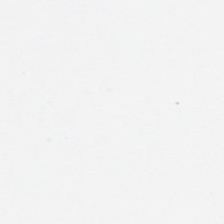Empty field — empty background.
